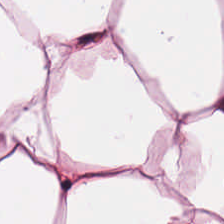Stain: hematoxylin-and-eosin stained section.
Acquisition: WSI patch.
Tile size: 224×224 px patch.
Predominant tissue: adipose tissue.
